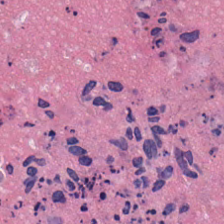This patch shows debris.
